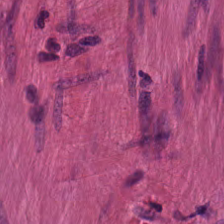Tissue class — smooth muscle.
